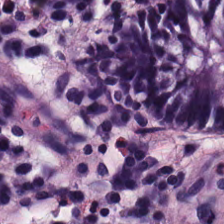Tissue type — non-neoplastic colon mucosa.
